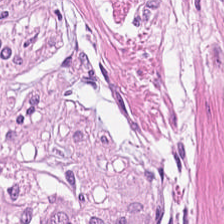Q: What is shown in this field?
A: This is muscularis.
